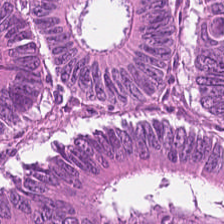H&E-stained tissue section — Showing adenocarcinoma.
